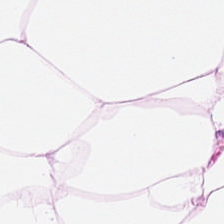Q: Classify this patch.
A: The field shows adipose.
